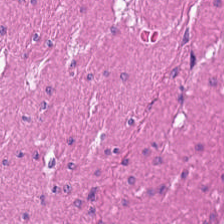Hematoxylin-and-eosin stained section. {"tissue_type": "muscularis"}
